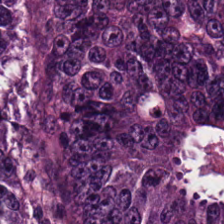224×224 px patch; FFPE; hematoxylin-and-eosin stained section — Tissue class: colorectal adenocarcinoma.
